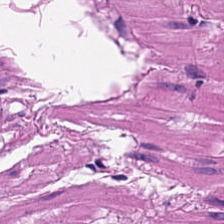Hematoxylin-and-eosin section: muscularis.
